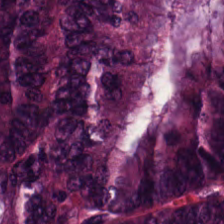H&E stain · 224×224 pixel tile.
Predominant tissue = adenocarcinoma.
